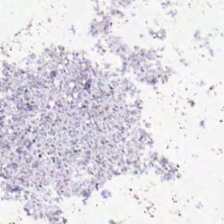0.5 microns per pixel; whole-slide-image patch; H&E.
Empty field — no tissue.
